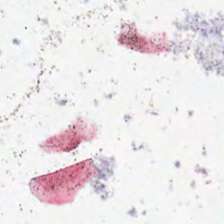Hematoxylin and eosin — {"content": "background (no tissue)"}
